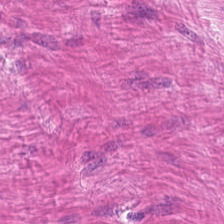Predominantly smooth-muscle tissue.
